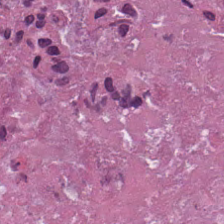H&E-stained tissue section.
Impression → cellular debris.
